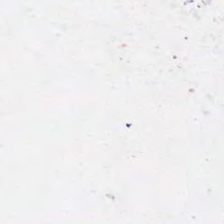224×224 px patch. FFPE tissue section. Hematoxylin and eosin — Empty field — empty background.
